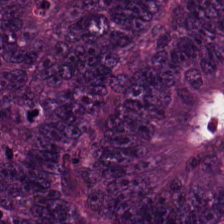Stain: H&E.
Tissue type: adenocarcinoma.
